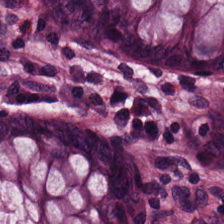Hematoxylin-and-eosin stained section.
The predominant tissue is non-neoplastic colon mucosa.
